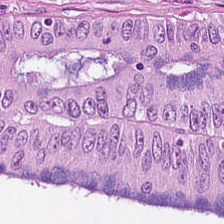Whole-slide-image patch. 224×224 px tile. H&E-stained tissue section.
Impression — tumor epithelium.
